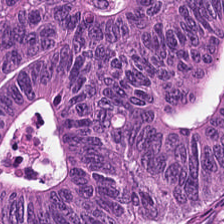Stain: hematoxylin and eosin.
Resolution: 20× equivalent magnification.
Tissue: colorectal adenocarcinoma.
